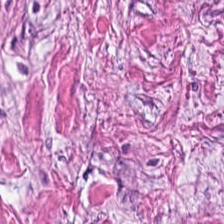Brightfield microscopy. H&E-stained tissue section. Finding — tumor-associated stroma.
